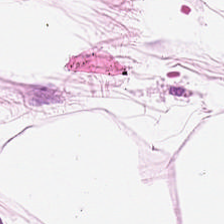224×224 pixel tile · H&E · 0.5 microns per pixel.
Fat tissue.
